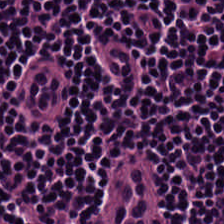WSI patch. Hematoxylin-and-eosin stained section — The tissue here is lymphocyte aggregate.
